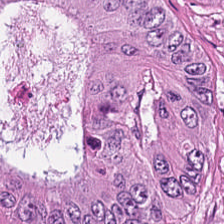Tissue class: adenocarcinoma.
